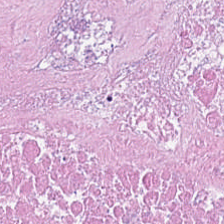Histology → cellular debris.
